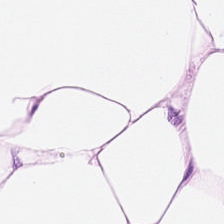Q: What is the predominant tissue type?
A: It is adipocytes.
